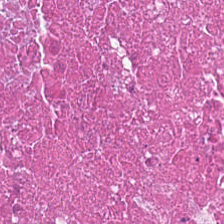Hematoxylin-and-eosin stained section · FFPE — Tissue: necrotic debris.
